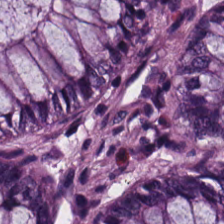FFPE · H&E-stained tissue section · WSI patch. Q: What does this patch show?
A: This is benign colonic mucosa.
